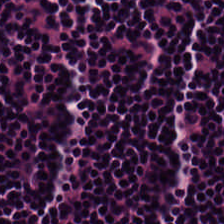WSI patch. H&E-stained tissue section.
Predominantly lymphocyte aggregate.
